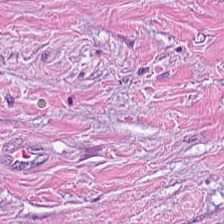Hematoxylin and eosin. Formalin-fixed paraffin-embedded section. 20× equivalent magnification. {"tissue_type": "cancer-associated stroma"}
